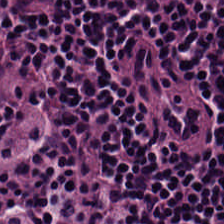Q: What does this patch show?
A: Lymphocyte aggregate.
